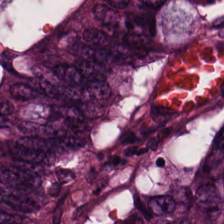Hematoxylin and eosin · 224×224 px patch. {"tissue_type": "malignant epithelium"}
